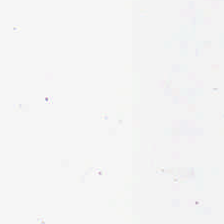Hematoxylin-and-eosin stained section. The field content is background (no tissue).
